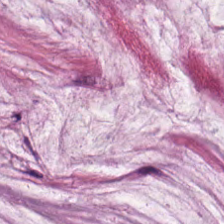H&E stain; 0.5 µm per pixel. Q: What does this patch show?
A: It is mucin.
